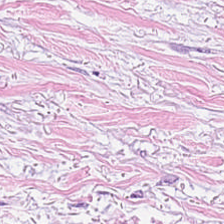Stain: hematoxylin-and-eosin stained section.
Classification: desmoplastic stroma.
